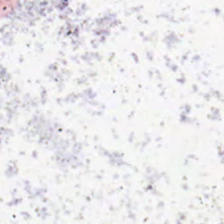Brightfield microscopy; H&E stain. Empty background.
